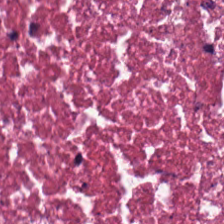H&E-stained tissue section. Q: What tissue is shown?
A: Necrotic debris.
